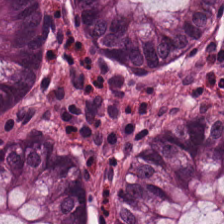Hematoxylin-and-eosin section: normal colonic mucosa.
